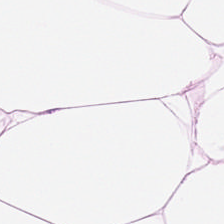H&E stain. 0.5 µm per pixel.
Adipose tissue.
